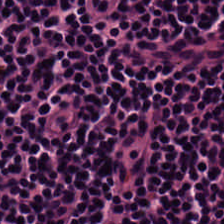Hematoxylin and eosin. 0.5 µm per pixel. {"tissue_type": "lymphocytes"}
